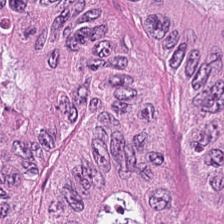Stain: H&E.
Classification: colorectal adenocarcinoma.
